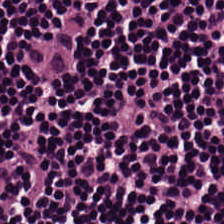Brightfield microscopy. Hematoxylin and eosin — Finding → lymphocyte aggregate.
